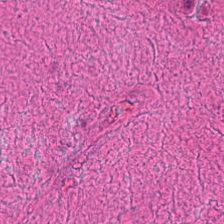Q: What tissue is shown?
A: This is cellular debris.
